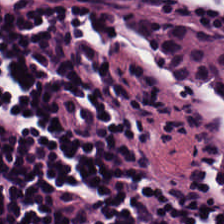H&E stain. Brightfield microscopy. 224×224 px tile. Predominantly lymphocyte aggregate.
